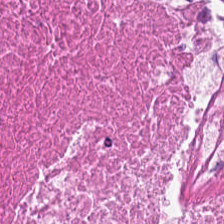H&E. Q: Classify this patch.
A: This is debris.
